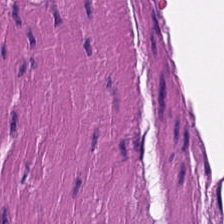WSI patch; H&E-stained tissue section — This field is smooth-muscle tissue.
